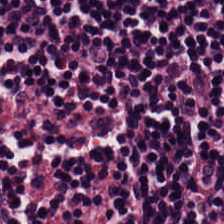Hematoxylin and eosin; 0.5 µm/px — The tissue here is lymphocytic infiltrate.
